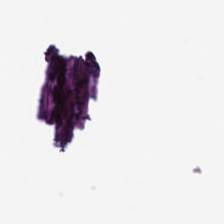Hematoxylin and eosin — This patch shows background.
